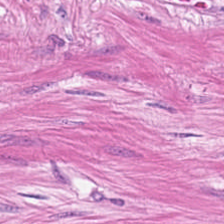Hematoxylin and eosin.
Predominantly smooth muscle.
